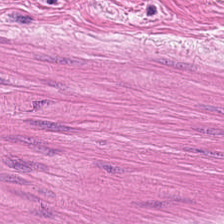H&E-stained tissue section.
{"tissue_type": "smooth-muscle tissue"}
